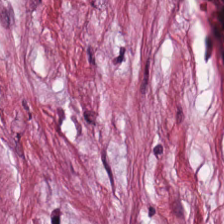224×224 px patch · hematoxylin and eosin · brightfield microscopy — The tissue type is tumor-associated stroma.
